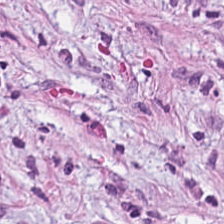H&E-stained tissue section — Cancer-associated stroma.
